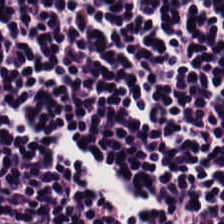Hematoxylin-and-eosin stained section — Impression — lymphocyte aggregate.
